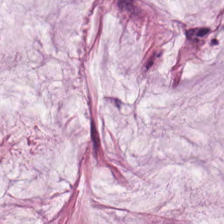Tissue: extracellular mucin.
